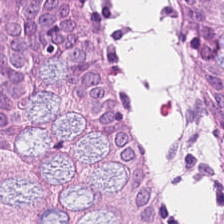H&E stain.
Classification — benign colonic mucosa.
